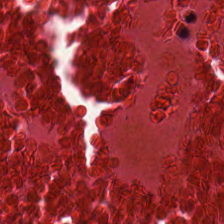0.5 microns per pixel; H&E stain; 224×224 px tile. Predominant tissue = necrotic debris.
